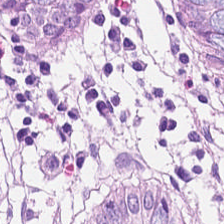{"tissue_type": "normal colon mucosa"}
